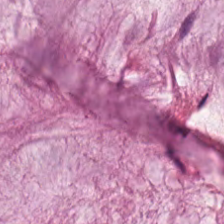Hematoxylin-and-eosin stained section · 20× equivalent magnification. The classification is mucus.
